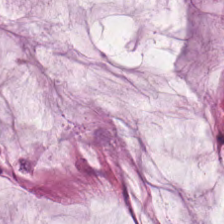H&E-stained tissue section.
This patch shows mucus.
